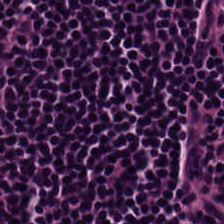Hematoxylin and eosin — Histology → lymphocytes.
